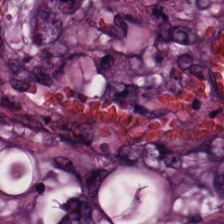The predominant tissue is colorectal adenocarcinoma.
